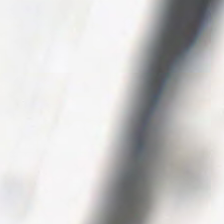H&E.
Background — no tissue in this field.
